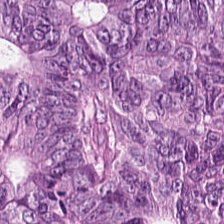H&E-stained tissue section. Malignant epithelium.
